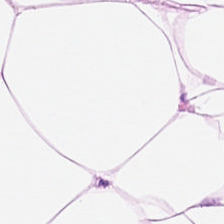Hematoxylin and eosin. The predominant tissue is adipose.
